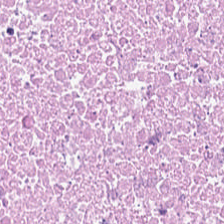H&E; 20× equivalent magnification. Q: What tissue is shown?
A: Necrotic debris.
